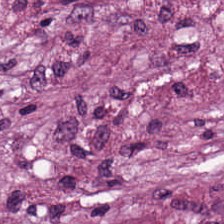H&E stain; FFPE — Tumor-associated stroma.
